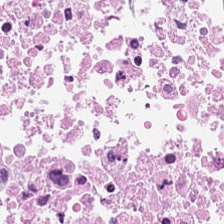Hematoxylin-and-eosin stained section.
Q: What tissue type is shown here?
A: It is debris.
